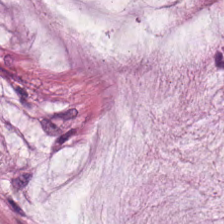H&E patch showing mucus.
